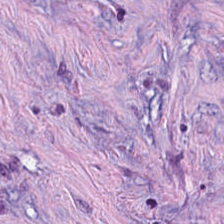H&E-stained tissue section; FFPE tissue section; 0.5 microns per pixel — Predominant tissue = tumor-associated stroma.
